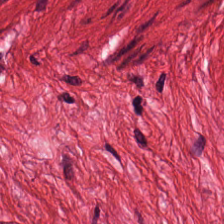FFPE; 224×224 px tile; hematoxylin and eosin. Predominantly smooth-muscle tissue.
